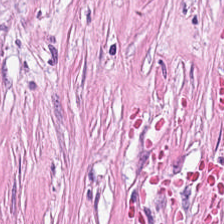H&E.
Predominant tissue — tumor-associated stroma.
